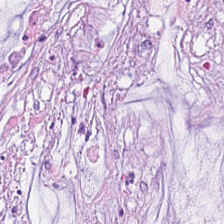Hematoxylin-and-eosin stained section.
Q: What is shown here?
A: Mucus.
